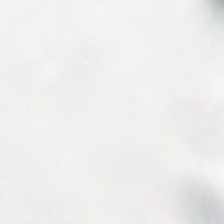H&E stain — Field content — empty background.
